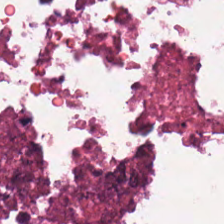0.5 µm/px · brightfield microscopy · H&E stain — Predominant tissue = necrotic debris.
